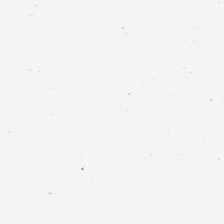The content is no tissue.
